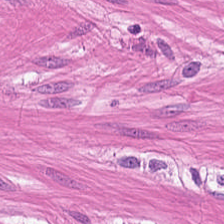Hematoxylin-and-eosin stained section.
This field is muscularis.
